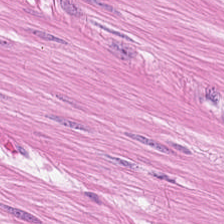Q: What is shown in this field?
A: It is smooth muscle.
